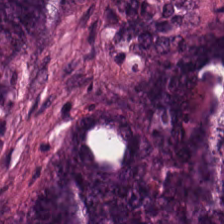The tissue is adenocarcinoma.
